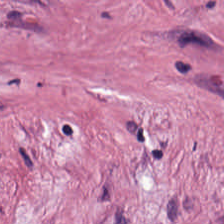Hematoxylin and eosin — The predominant tissue is tumor stroma.
